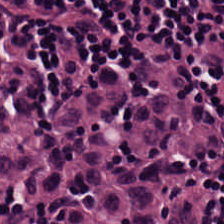H&E stain. 0.5 µm per pixel. WSI patch.
Lymphocytes.
